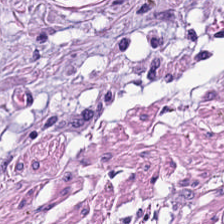Stain: H&E.
Tissue type: smooth muscle.
